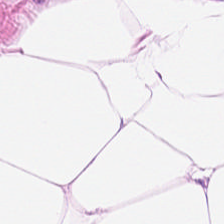Hematoxylin-and-eosin stained section · whole-slide-image patch.
Q: What tissue is shown?
A: Adipose tissue.
